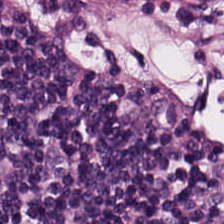Stain: H&E stain.
Tissue: lymphocytes.
